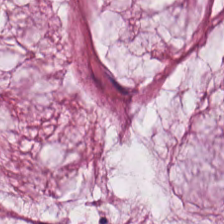Q: What is the predominant tissue type?
A: This is extracellular mucin.
